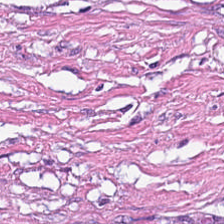H&E stain.
This patch shows tumor stroma.
